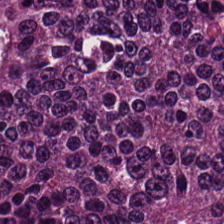H&E — Finding — adenocarcinoma.
